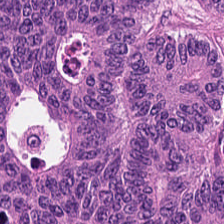Hematoxylin-and-eosin stained section; brightfield microscopy.
Q: What is the predominant tissue type?
A: Malignant epithelium.
